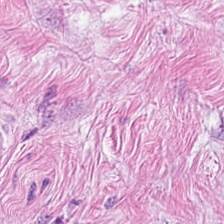H&E. Impression — cancer-associated stroma.
